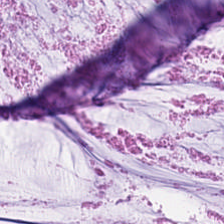Hematoxylin-and-eosin section: extracellular mucin.
